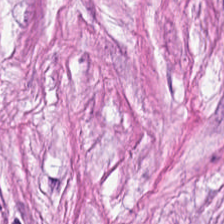Brightfield. H&E.
Tissue type: desmoplastic stroma.
